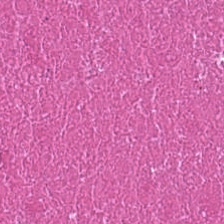Hematoxylin-and-eosin stained section.
Predominantly debris.
